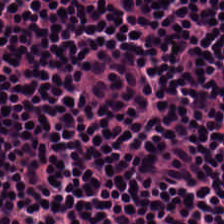Tissue type: lymphoid infiltrate.
